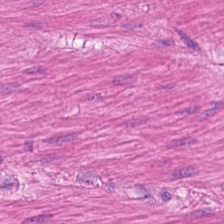Stain: H&E.
Tissue type: smooth-muscle tissue.
